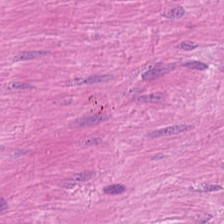H&E-stained tissue section — This patch shows muscularis.
